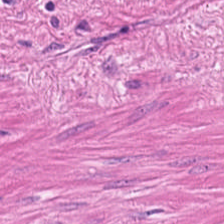Stain: hematoxylin and eosin.
Classification: smooth-muscle tissue.
